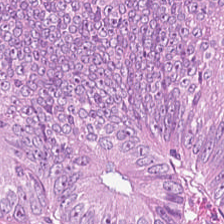Hematoxylin-and-eosin stained section · WSI patch · 224×224 px patch.
Q: What does this patch show?
A: This is colorectal adenocarcinoma.
